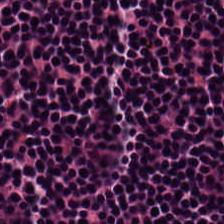H&E stain.
Q: What is the predominant tissue type?
A: This is lymphocytes.
